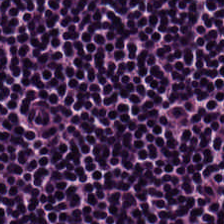Hematoxylin and eosin; 224×224 pixel tile. This patch shows lymphocyte aggregate.
